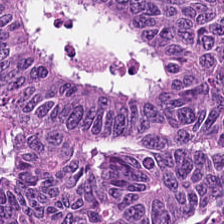Stain: H&E.
Acquisition: brightfield microscopy.
Tile size: 224×224 px tile.
Tissue class: adenocarcinoma.
